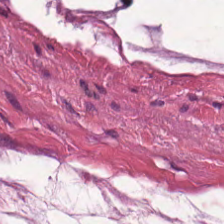Tissue class — mucus.
